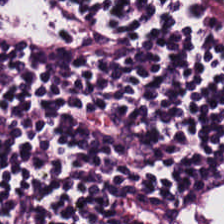H&E stain. Showing lymphoid infiltrate.
